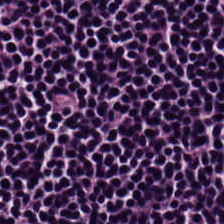This patch shows lymphocytic infiltrate.
